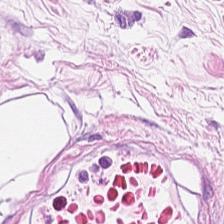H&E stain — Classification — adipose tissue.
